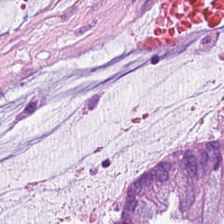This patch shows extracellular mucin.
